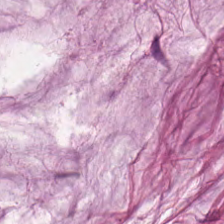Hematoxylin and eosin. Extracellular mucin.
